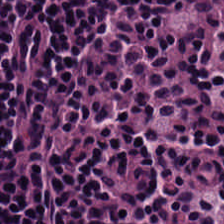Hematoxylin and eosin. 20× equivalent magnification. FFPE — Predominant tissue — lymphoid infiltrate.
